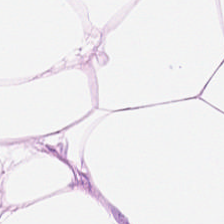Stain: H&E.
Tissue type: adipose tissue.
